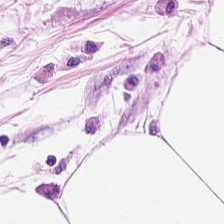H&E stain — Fat tissue.
